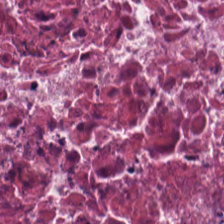This patch shows debris.
